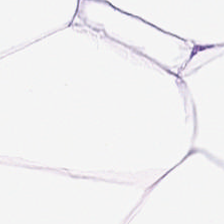H&E.
Q: What tissue is shown?
A: The field shows adipocytes.
